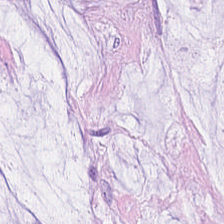Hematoxylin and eosin. 0.5 µm per pixel. Impression — extracellular mucin.
